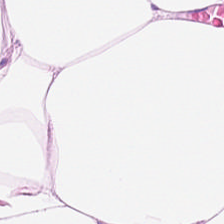H&E — fat tissue.
